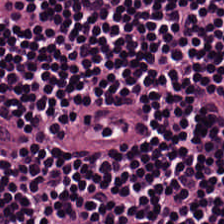H&E-stained tissue section. {"tissue_type": "lymphocyte aggregate"}
